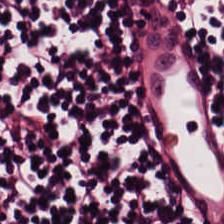H&E.
This patch shows lymphocytic infiltrate.
